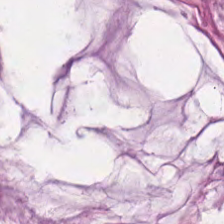Stain: hematoxylin-and-eosin stained section.
Tissue type: mucin.
